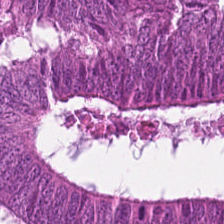Hematoxylin-and-eosin section: malignant epithelium.
